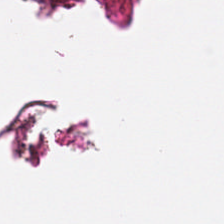FFPE tissue section · H&E stain. Q: What is shown here?
A: It is background (no tissue).
